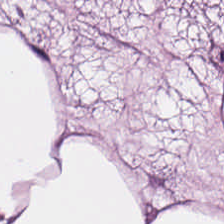Hematoxylin-and-eosin stained section · 224×224 px patch. Impression → adipose.
